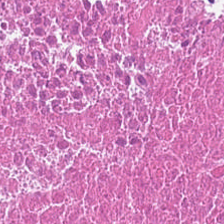H&E. Histology → cellular debris.
